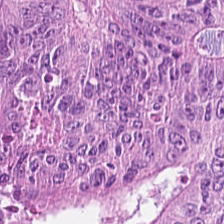H&E — malignant epithelium.
